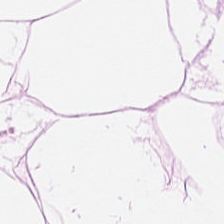Tissue type = adipocytes.
